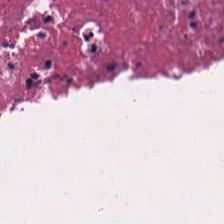Q: Classify this patch.
A: The field shows debris.
